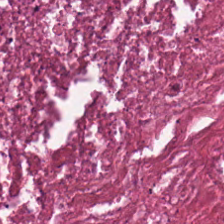H&E — Cellular debris.
